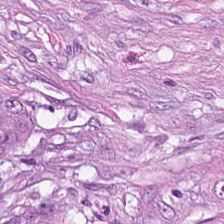Showing cancer-associated stroma.
